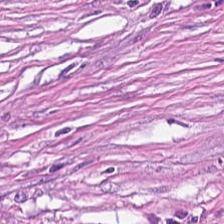{"tissue_type": "tumor stroma"}
